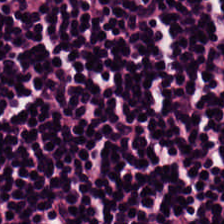H&E.
Q: What does this patch show?
A: This is lymphocyte aggregate.
